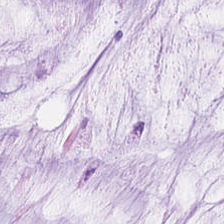Hematoxylin-and-eosin stained section. Brightfield — This field is extracellular mucin.
